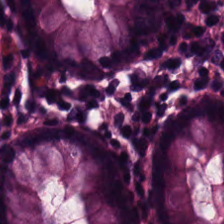Hematoxylin-and-eosin stained section.
Q: What tissue is shown?
A: The field shows normal colonic mucosa.
